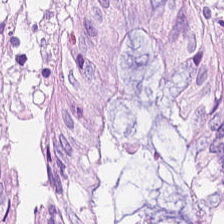H&E stain. Whole-slide-image patch.
The predominant tissue is normal colon mucosa.
